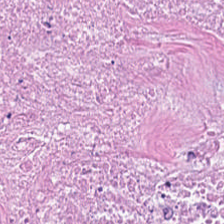Predominantly cellular debris.
